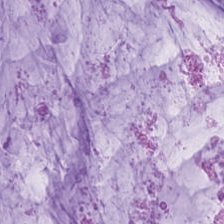H&E · FFPE · 224×224 px tile.
This field is mucin.
